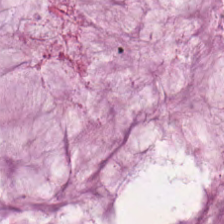Q: What does this patch show?
A: Mucin.
